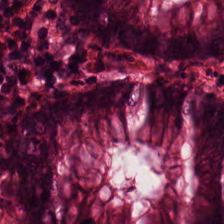The predominant tissue is benign colonic mucosa.
